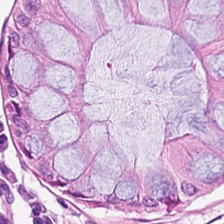H&E stain. Finding → normal colon mucosa.
